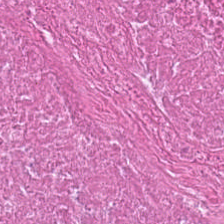Tissue class: cellular debris.
